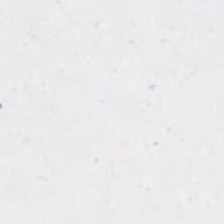Content = background.
